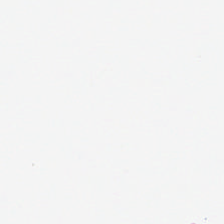H&E — No tissue present; background only.
